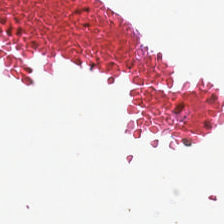H&E stain; 20× equivalent magnification; whole-slide-image patch. Impression — background (no tissue).
